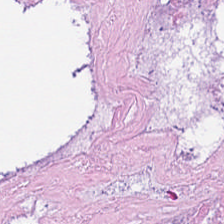FFPE tissue section. Hematoxylin-and-eosin stained section — The tissue here is necrotic debris.
